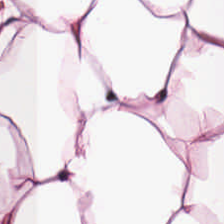20× equivalent magnification. Hematoxylin-and-eosin stained section — Adipocytes.
